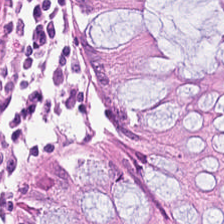Hematoxylin-and-eosin stained section — This patch shows normal colon mucosa.
